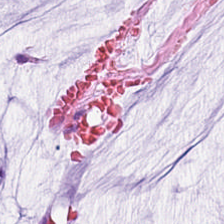Histology → mucus.
